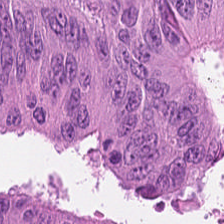Hematoxylin-and-eosin stained section · brightfield.
The classification is malignant epithelium.
